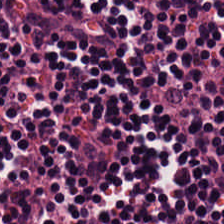Hematoxylin-and-eosin stained section — Predominantly lymphocytic infiltrate.
